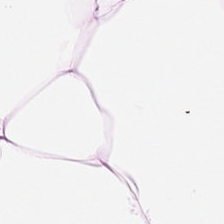Hematoxylin and eosin; FFPE; 0.5 µm/px.
This field is fat tissue.
